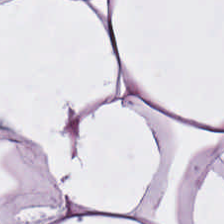Hematoxylin and eosin.
Q: What tissue is shown?
A: Adipocytes.
